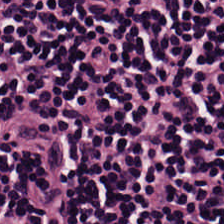Lymphocytes.
